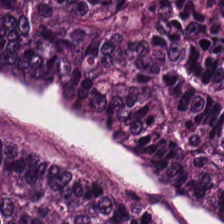Stain: hematoxylin-and-eosin stained section.
Tissue type: tumor epithelium.
